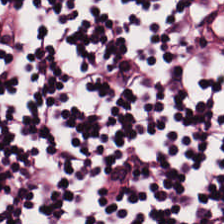H&E-stained tissue section — Tissue: lymphocytes.
